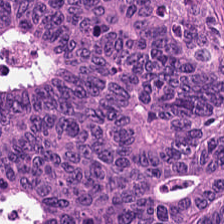Hematoxylin-and-eosin stained section; brightfield; FFPE.
This field is malignant epithelium.
